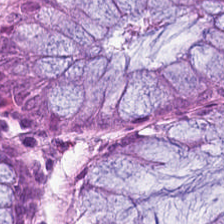This field is normal colonic mucosa.
